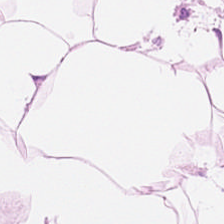H&E patch showing adipose.
